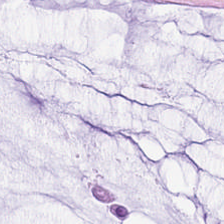224×224 pixel tile · H&E.
The predominant tissue is mucin.
